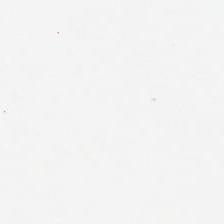Hematoxylin-and-eosin stained section · 0.5 microns per pixel — Q: What is shown here?
A: The field shows background (no tissue).
